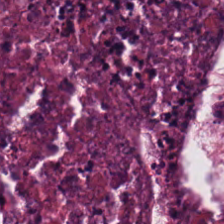H&E-stained tissue section; 224×224 px patch. Histology — necrotic debris.
